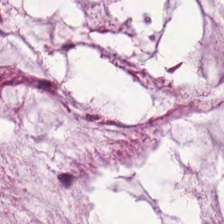Hematoxylin and eosin; 224×224 px patch — The tissue here is extracellular mucin.
